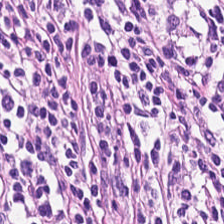Impression — lymphoid infiltrate.
